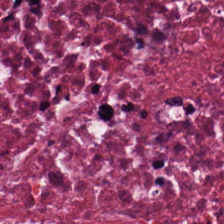Stain: hematoxylin and eosin.
Tissue: necrotic debris.
